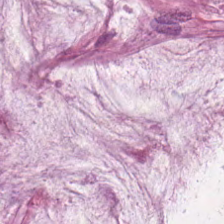H&E · FFPE tissue section · 0.5 µm/px — Q: What does this patch show?
A: Mucus.
